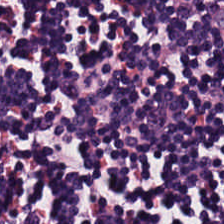Stain: H&E stain.
Classification: lymphocytes.
